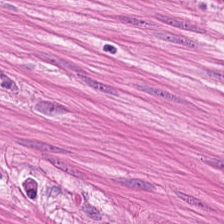Hematoxylin-and-eosin stained section. {"tissue_type": "muscularis"}
